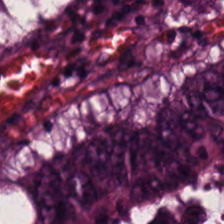H&E-stained tissue section.
Showing colorectal adenocarcinoma.
